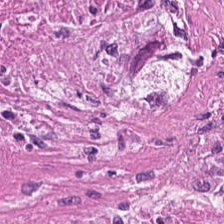The predominant tissue is debris.
